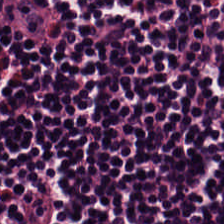H&E — Tissue = lymphocyte aggregate.
